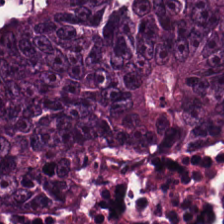Hematoxylin-and-eosin stained section. FFPE. Q: What is shown in this field?
A: This is adenocarcinoma.
